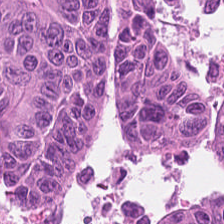Hematoxylin and eosin. Impression → colorectal adenocarcinoma.
